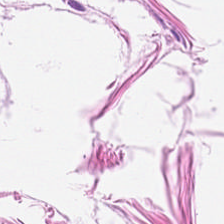Hematoxylin-and-eosin stained section.
Q: What is the predominant tissue type?
A: This is adipose.
